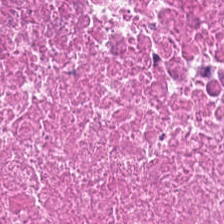H&E.
Tissue class — debris.
